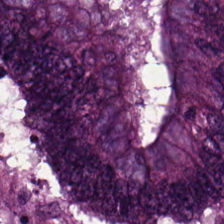0.5 microns per pixel. H&E-stained tissue section. Whole-slide-image patch.
The predominant tissue is colorectal adenocarcinoma.
